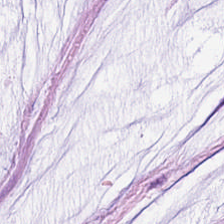H&E — Showing mucin.
